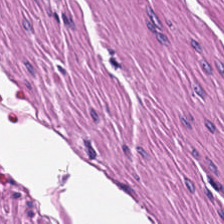Hematoxylin and eosin. Tissue type: smooth-muscle tissue.
